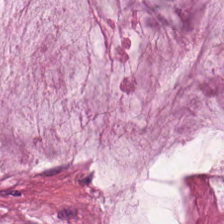Stain: hematoxylin and eosin.
Predominant tissue: mucus.
